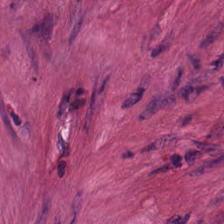H&E-stained tissue section · 224×224 pixel tile · WSI patch — Finding → muscularis.
